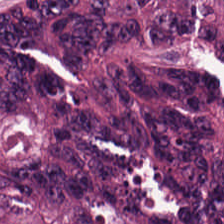Hematoxylin and eosin — The tissue here is colorectal adenocarcinoma.
